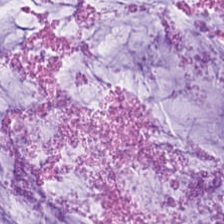H&E — Q: What type of tissue is this?
A: Mucus.
